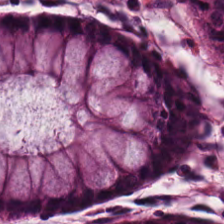H&E-stained section; the field shows benign colonic mucosa.
